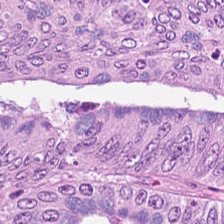Tissue = colorectal adenocarcinoma.
